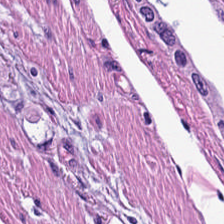Tissue type: smooth muscle.
